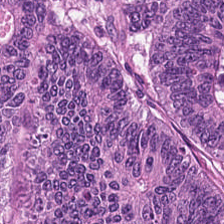H&E stain. FFPE tissue section.
Predominant tissue: malignant epithelium.
